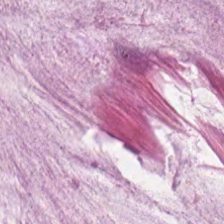H&E stain; brightfield; FFPE.
This patch shows extracellular mucin.
